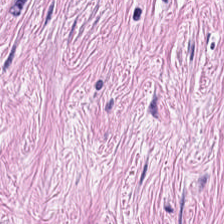H&E — Tissue: cancer-associated stroma.
